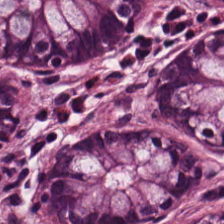224×224 px tile · H&E stain. Q: What does this patch show?
A: Normal colonic mucosa.
